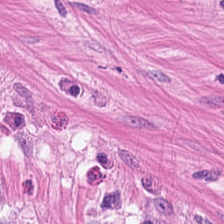H&E-stained tissue section. Brightfield microscopy — {"tissue_type": "smooth-muscle tissue"}
